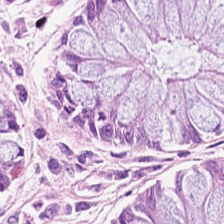H&E.
Showing non-neoplastic colon mucosa.
